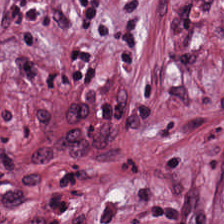Stain: hematoxylin-and-eosin stained section.
Predominant tissue: tumor stroma.
